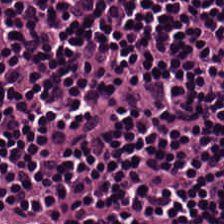H&E-stained tissue section — Predominant tissue — lymphocytes.
